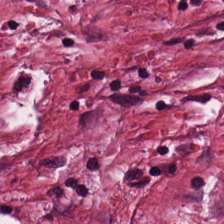Stain: hematoxylin and eosin.
Tile size: 224×224 px patch.
Tissue: tumor-associated stroma.
